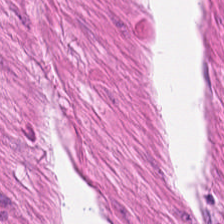H&E stain. FFPE tissue section.
Tissue class: muscularis.
